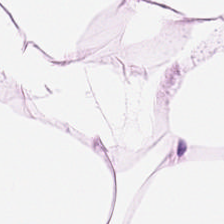Stain: H&E.
Preparation: FFPE.
Tissue: fat tissue.
